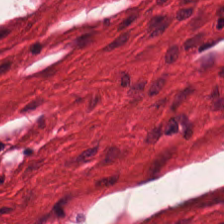Showing muscularis.
